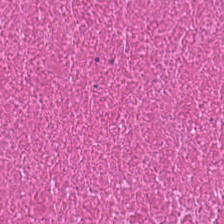H&E patch showing cellular debris.
